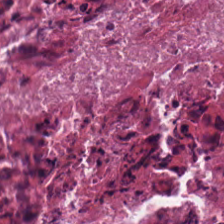The tissue type is debris.
